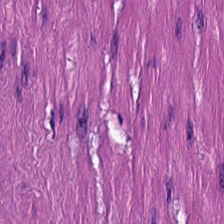Hematoxylin-and-eosin stained section.
This field is smooth-muscle tissue.
